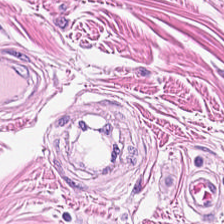H&E-stained tissue section · 20× equivalent magnification · 224×224 pixel tile. The tissue class is muscularis.
